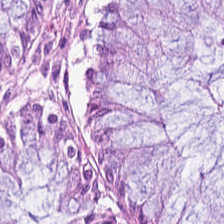Stain: H&E-stained tissue section.
Acquisition: whole-slide-image patch.
Tissue type: normal colonic mucosa.
